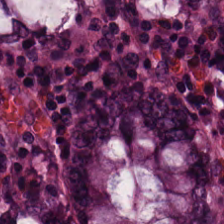Classification = benign colonic mucosa.
